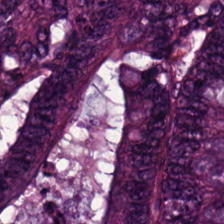H&E — Predominantly colorectal adenocarcinoma.
